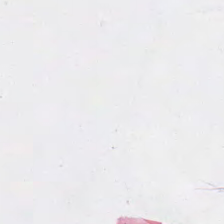Background — no tissue in this field.
